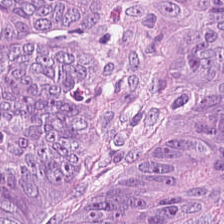H&E-stained tissue section. 0.5 microns per pixel. 224×224 pixel tile — Impression → colorectal adenocarcinoma epithelium.
